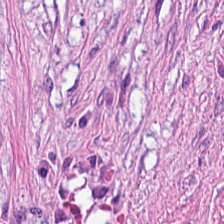224×224 pixel tile. H&E stain — Desmoplastic stroma.
